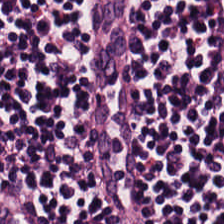Hematoxylin-and-eosin stained section. Showing lymphocytes.
